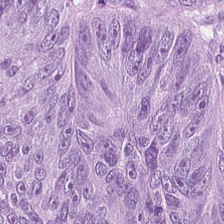0.5 µm per pixel · brightfield · H&E. Showing colorectal adenocarcinoma epithelium.
